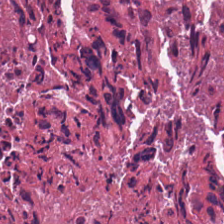Predominant tissue: necrotic debris.
